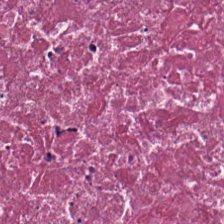Q: What tissue type is shown here?
A: The field shows debris.
